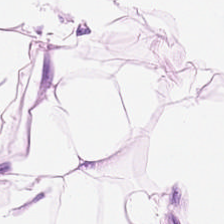WSI patch. FFPE. H&E. Finding → adipose tissue.
